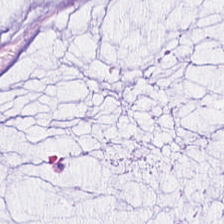H&E-stained tissue section.
Classification: mucin.
